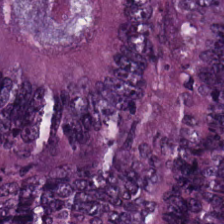Showing colorectal adenocarcinoma epithelium.
